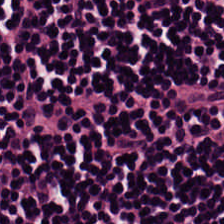Hematoxylin-and-eosin stained section — The tissue here is lymphocytes.
